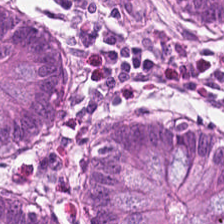H&E-stained tissue section — The predominant tissue is non-neoplastic colon mucosa.
